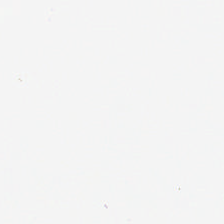Hematoxylin and eosin — Q: What is shown in this field?
A: Background (no tissue).
